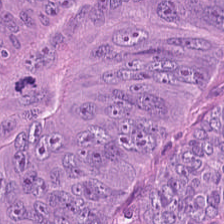WSI patch · H&E — This patch shows malignant epithelium.
